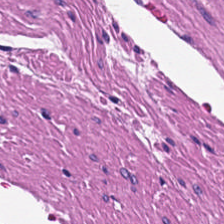0.5 microns per pixel. Hematoxylin-and-eosin stained section. The predominant tissue is muscularis.
